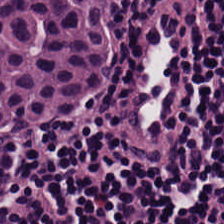Hematoxylin-and-eosin stained section. Q: What tissue type is shown here?
A: The field shows lymphocytic infiltrate.
